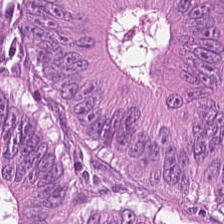Classification = colorectal adenocarcinoma epithelium.
